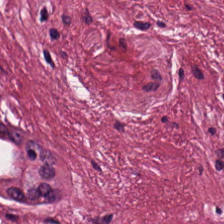Hematoxylin-and-eosin stained section — Tissue: cancer-associated stroma.
